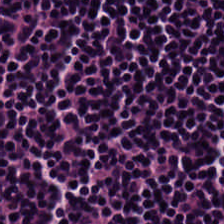20× equivalent magnification; hematoxylin-and-eosin stained section — Tissue type: lymphocytes.
